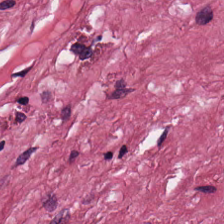Hematoxylin and eosin; formalin-fixed paraffin-embedded section — Q: What is the predominant tissue type?
A: Cancer-associated stroma.
